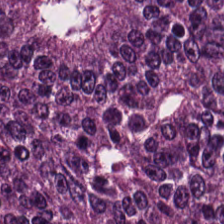Stain: hematoxylin and eosin.
Tissue: malignant epithelium.
